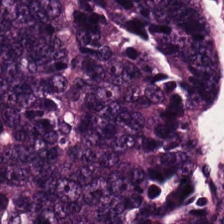H&E-stained tissue section. Brightfield — Classification: adenocarcinoma.
